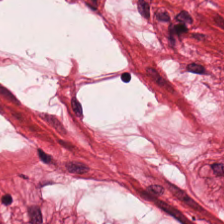Hematoxylin and eosin; formalin-fixed paraffin-embedded section — Finding — muscularis.
